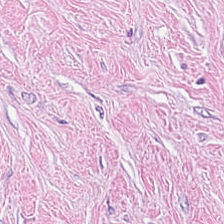224×224 px tile · hematoxylin-and-eosin stained section — The predominant tissue is tumor stroma.
